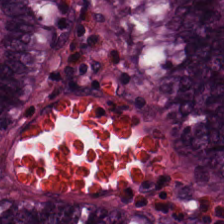Stain: hematoxylin and eosin.
Tile size: 224×224 px patch.
Tissue class: normal colon mucosa.
